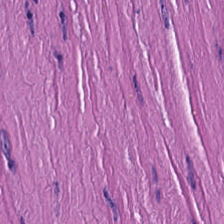H&E-stained tissue section.
The predominant tissue is smooth muscle.
